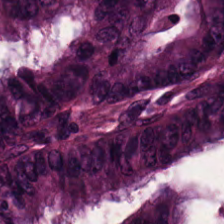Formalin-fixed paraffin-embedded section · hematoxylin-and-eosin stained section.
Tissue type = colorectal adenocarcinoma.
